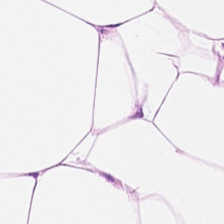This field is fat tissue.
